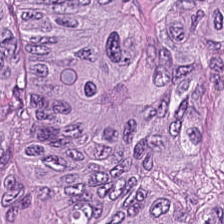The classification is adenocarcinoma.
